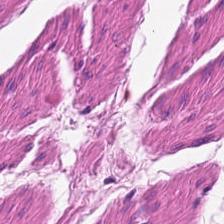H&E-stained tissue section · 224×224 px tile · whole-slide-image patch. Predominant tissue — smooth muscle.
